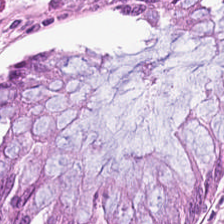H&E patch showing non-neoplastic colon mucosa.
